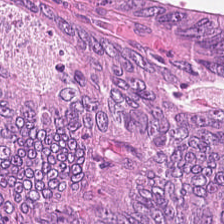Hematoxylin and eosin — This patch shows colorectal adenocarcinoma epithelium.
